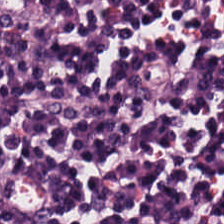H&E stain.
Impression → lymphoid infiltrate.
